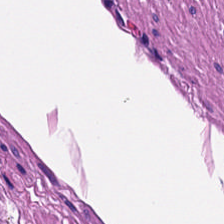H&E-stained tissue section — Showing muscularis.
